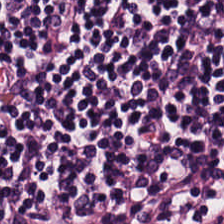Hematoxylin-and-eosin stained section.
This patch shows lymphocytes.
